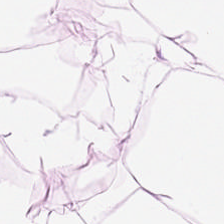H&E-stained tissue section — This patch shows fat tissue.
